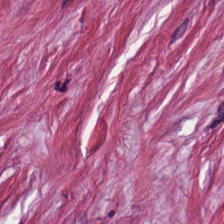Hematoxylin-and-eosin stained section · 224×224 px patch. Predominantly cancer-associated stroma.
